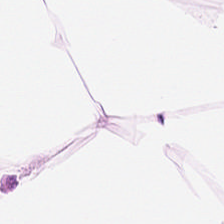0.5 µm/px; H&E-stained tissue section — Histology → fat tissue.
